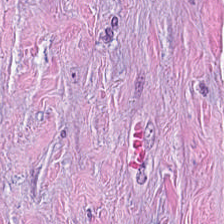FFPE tissue section; H&E. This field is tumor stroma.
